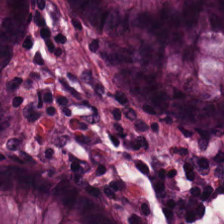The classification is non-neoplastic colon mucosa.
